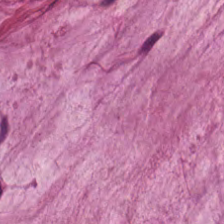Stain: hematoxylin and eosin.
Tissue class: extracellular mucin.
